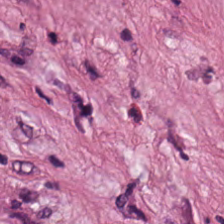H&E patch showing tumor-associated stroma.
